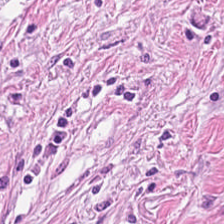Hematoxylin-and-eosin stained section — Tissue: tumor-associated stroma.
